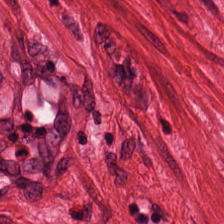H&E stain. FFPE tissue section. 224×224 pixel tile. The classification is smooth muscle.
